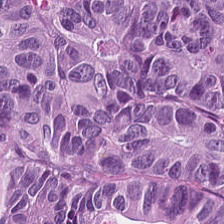H&E stain; FFPE — Malignant epithelium.
